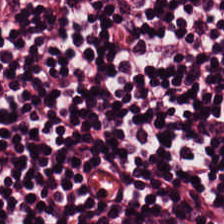H&E-stained tissue section.
{"tissue_type": "lymphocyte aggregate"}
